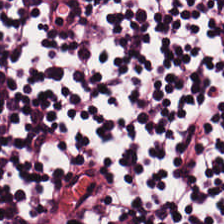Hematoxylin-and-eosin stained section.
Showing lymphocytic infiltrate.
